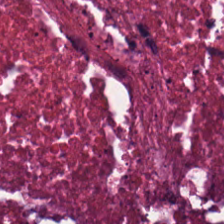H&E stain; WSI patch — Q: Classify this patch.
A: The field shows cellular debris.
